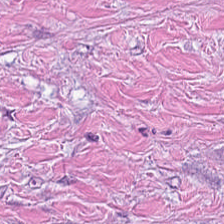Hematoxylin-and-eosin stained section; FFPE; 224×224 px patch — Q: What does this patch show?
A: It is cancer-associated stroma.
